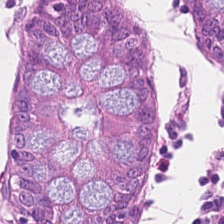H&E — Classification: benign colonic mucosa.
